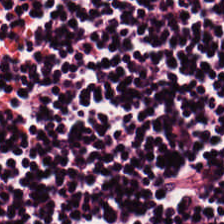WSI patch. FFPE tissue section. H&E. This patch shows lymphocytic infiltrate.
